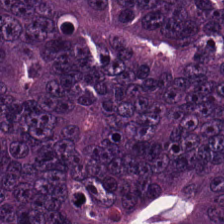H&E-stained tissue section showing malignant epithelium.
